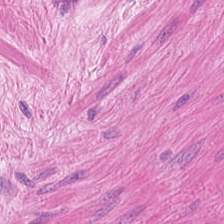Showing muscularis.
